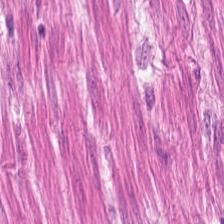Hematoxylin and eosin; 0.5 µm per pixel — This field is smooth muscle.
